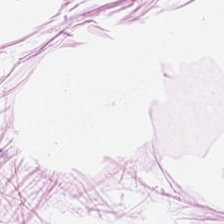H&E stain.
The tissue is adipose tissue.
